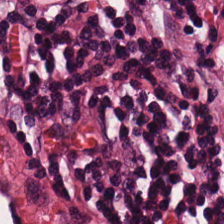Hematoxylin-and-eosin stained section.
The tissue here is tumor-associated stroma.
